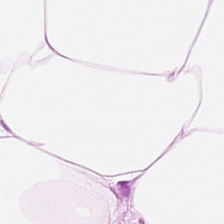20× equivalent magnification. Hematoxylin-and-eosin stained section.
Predominantly fat tissue.
